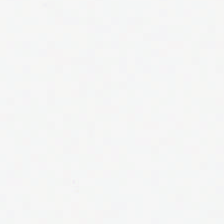H&E-stained tissue section.
Content = background.
